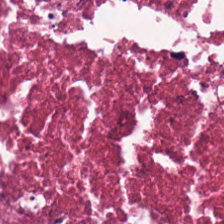Hematoxylin-and-eosin stained section — Tissue class: necrotic debris.
